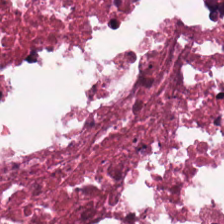The tissue type is cellular debris.
